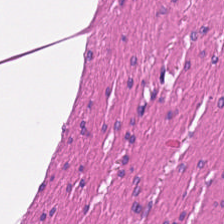H&E. WSI patch. The tissue is smooth muscle.
